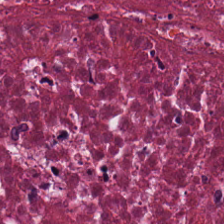Tissue type = cellular debris.
